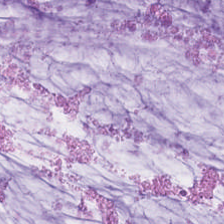Hematoxylin-and-eosin stained section · formalin-fixed paraffin-embedded section · whole-slide-image patch — Extracellular mucin.
